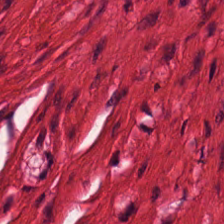H&E stain; brightfield; FFPE tissue section.
Q: What type of tissue is this?
A: This is muscularis.
